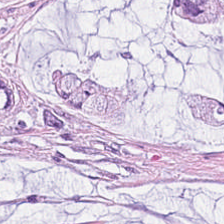FFPE tissue section · hematoxylin-and-eosin stained section — Tissue: extracellular mucin.
